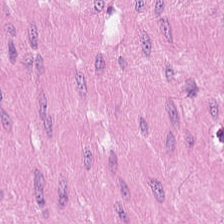Stain: H&E.
Preparation: FFPE.
Classification: muscularis.
